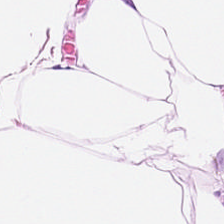224×224 px patch; H&E. Histology — adipocytes.
